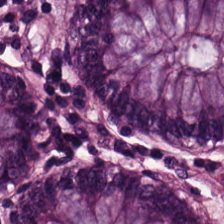Hematoxylin and eosin; brightfield; 20× equivalent magnification — The tissue type is benign colonic mucosa.
